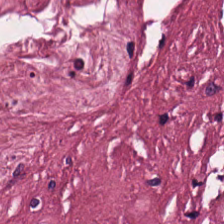224×224 px patch · hematoxylin-and-eosin stained section — Predominant tissue = desmoplastic stroma.
